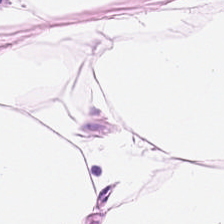H&E patch showing fat tissue.
